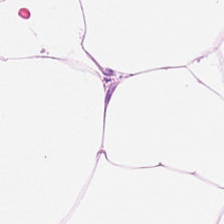Hematoxylin-and-eosin stained section · 0.5 µm/px · FFPE. The tissue class is adipocytes.
